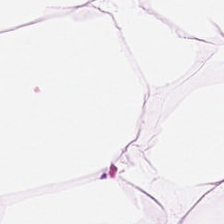20× equivalent magnification; H&E stain — Tissue = adipocytes.
